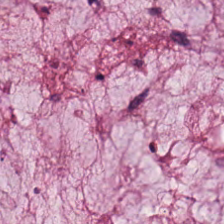H&E stain. 0.5 µm/px. FFPE tissue section.
Predominant tissue = mucin.
